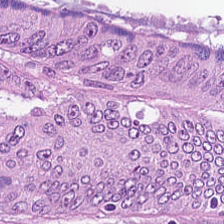H&E stain. This patch shows colorectal adenocarcinoma epithelium.
